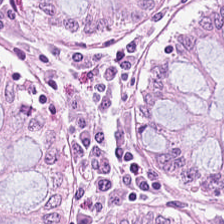This patch shows normal colonic mucosa.
